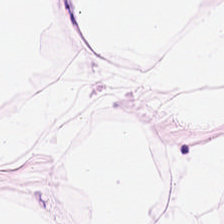H&E-stained tissue section; FFPE tissue section. Tissue class — adipose tissue.
